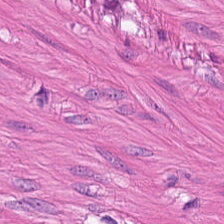H&E.
Q: What is the predominant tissue type?
A: It is smooth-muscle tissue.
